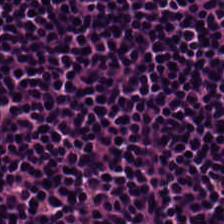H&E stain. {"tissue_type": "lymphocytes"}
